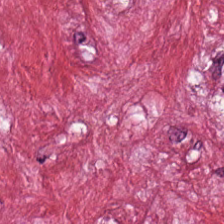Hematoxylin-and-eosin stained section. The predominant tissue is cancer-associated stroma.
